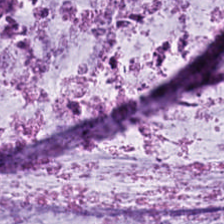Classification: mucin.
